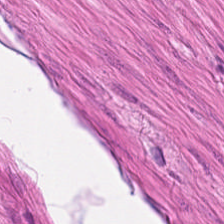Q: What tissue type is shown here?
A: Muscularis.
